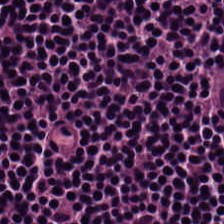0.5 µm per pixel · 224×224 pixel tile · H&E stain.
Classification: lymphoid infiltrate.
